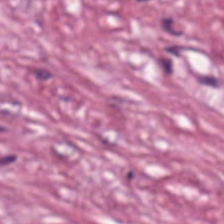Impression — desmoplastic stroma.
